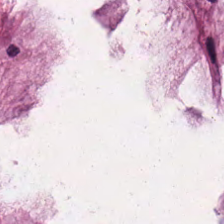H&E.
This patch shows mucus.
